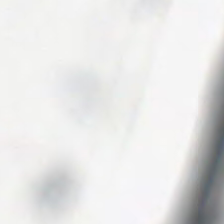Hematoxylin and eosin · 224×224 pixel tile.
The classification is no tissue.
